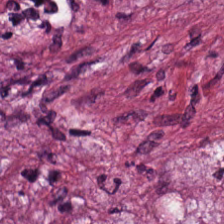224×224 px patch · hematoxylin-and-eosin stained section — Q: What is the predominant tissue type?
A: This is cancer-associated stroma.
